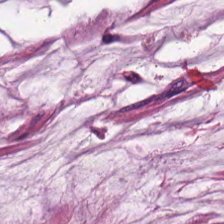0.5 µm/px · hematoxylin-and-eosin stained section. {"tissue_type": "extracellular mucin"}
